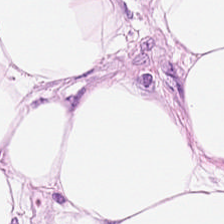The tissue class is fat tissue.
